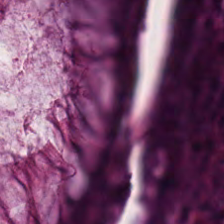Hematoxylin and eosin; formalin-fixed paraffin-embedded section — Non-neoplastic colon mucosa.
